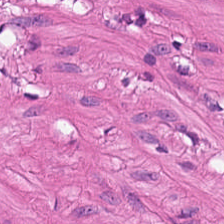20× equivalent magnification. H&E. Tissue class = smooth muscle.
